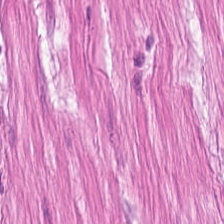Stain: H&E stain.
Tissue type: muscularis.
